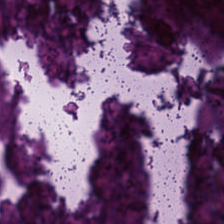FFPE tissue section; H&E-stained tissue section — {"tissue_type": "cellular debris"}
